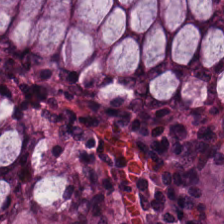Predominant tissue — normal colonic mucosa.
